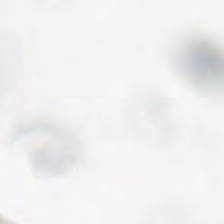Classification: background (no tissue).
